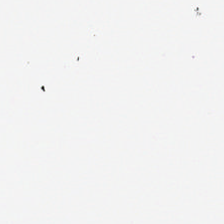H&E-stained tissue section.
{"content": "no tissue"}
